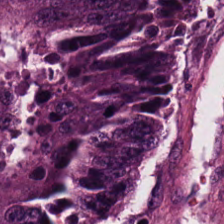FFPE; H&E-stained tissue section; 0.5 µm per pixel. This patch shows malignant epithelium.
